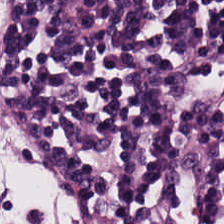Histology — lymphocyte aggregate.
